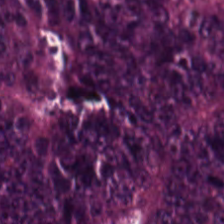H&E-stained tissue section; brightfield; 0.5 µm per pixel — Predominant tissue = tumor epithelium.
